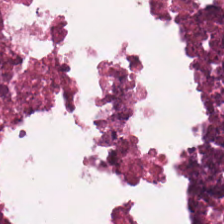Stain: hematoxylin-and-eosin stained section.
Tissue class: debris.
